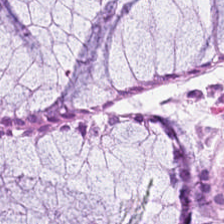H&E-stained tissue section showing non-neoplastic colon mucosa.
